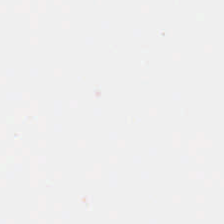H&E-stained tissue section; formalin-fixed paraffin-embedded section.
No tissue present; background only.
